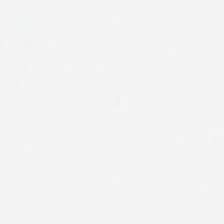Empty field — background (no tissue).
